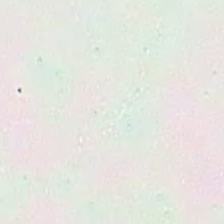Hematoxylin-and-eosin stained section · formalin-fixed paraffin-embedded section.
Content = empty background.
